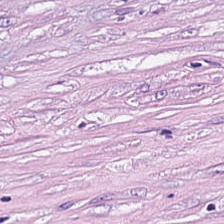224×224 px patch; H&E — The predominant tissue is tumor stroma.
